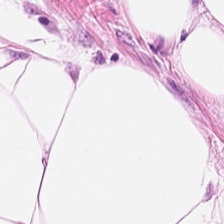Hematoxylin-and-eosin stained section.
This patch shows fat tissue.
